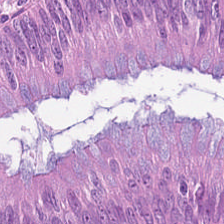H&E stain. Brightfield microscopy. Q: What is the predominant tissue type?
A: It is malignant epithelium.
